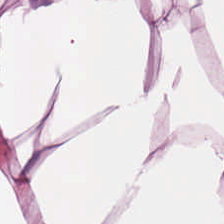Hematoxylin and eosin. This patch shows adipose tissue.
